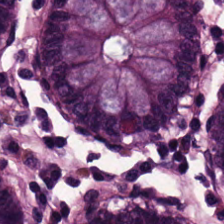This patch shows normal colonic mucosa.
